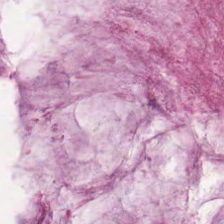Hematoxylin and eosin. Tissue class: extracellular mucin.
